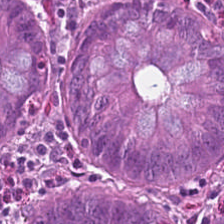H&E stain. The predominant tissue is normal colon mucosa.
